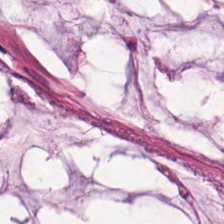H&E. Finding → mucus.
